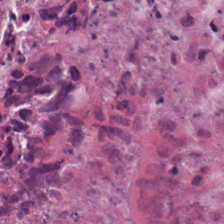Finding → cellular debris.
